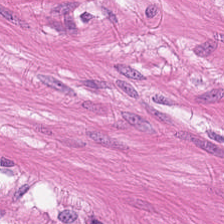Formalin-fixed paraffin-embedded section · H&E · whole-slide-image patch.
This field is smooth-muscle tissue.
